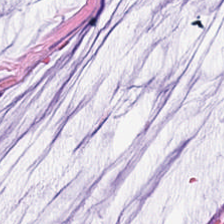224×224 px patch. Hematoxylin and eosin.
Classification — extracellular mucin.
